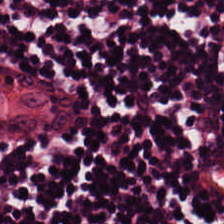WSI patch. 0.5 µm/px. H&E.
This patch shows lymphocytes.
